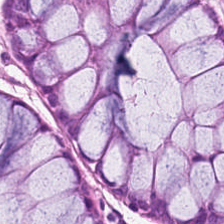H&E stain; 224×224 pixel tile — The predominant tissue is non-neoplastic colon mucosa.
